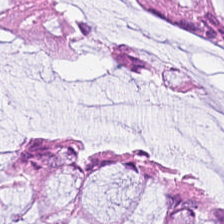{"tissue_type": "benign colonic mucosa"}
